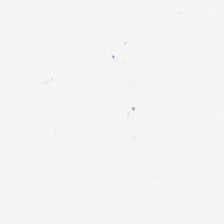H&E-stained tissue section.
Finding → background.
